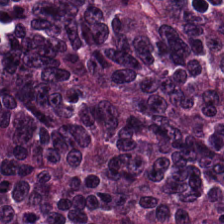H&E.
The tissue here is colorectal adenocarcinoma epithelium.
